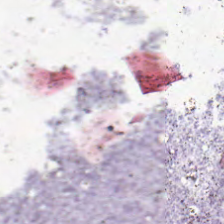H&E stain — No tissue.
